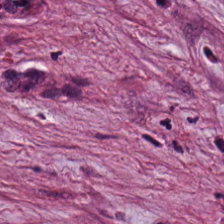0.5 microns per pixel · H&E · FFPE tissue section. The predominant tissue is tumor stroma.
